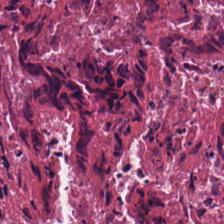Stain: H&E-stained tissue section.
Predominant tissue: debris.
